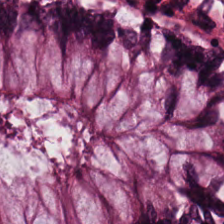H&E-stained tissue section · brightfield.
Predominant tissue = normal colonic mucosa.
